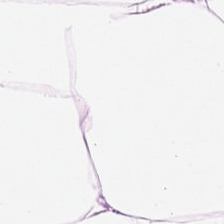WSI patch. H&E. Classification — adipose tissue.
